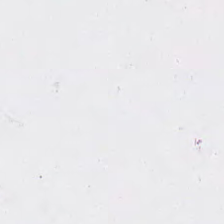H&E. 20× equivalent magnification — Background (no tissue).
